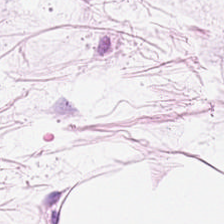Brightfield microscopy; H&E.
The predominant tissue is adipocytes.
